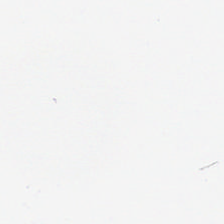Hematoxylin-and-eosin stained section; brightfield. Field content = empty background.
